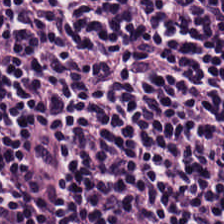H&E-stained tissue section — The predominant tissue is lymphocyte aggregate.
